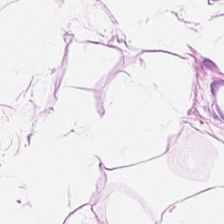H&E stain.
Showing fat tissue.
